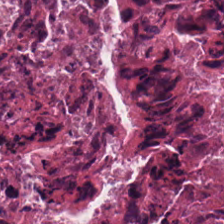The tissue type is necrotic debris.
